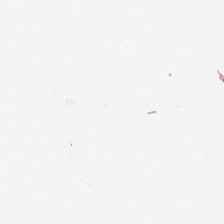H&E-stained tissue section.
Q: What does this patch show?
A: It is empty background.
